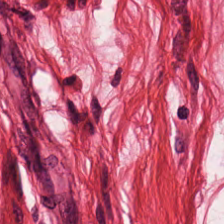H&E-stained tissue section. Q: What is shown in this field?
A: The field shows muscularis.
